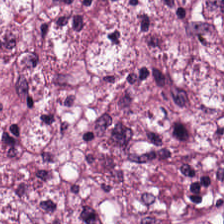FFPE tissue section · hematoxylin and eosin — Tumor-associated stroma.
